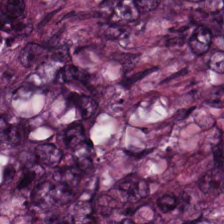Stain: H&E.
Preparation: formalin-fixed paraffin-embedded section.
Resolution: 0.5 microns per pixel.
Tissue type: adenocarcinoma.
